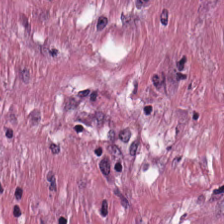H&E.
The tissue here is tumor stroma.
